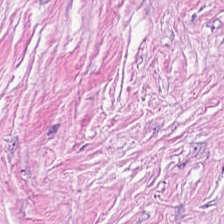Hematoxylin-and-eosin stained section. Predominantly cancer-associated stroma.
